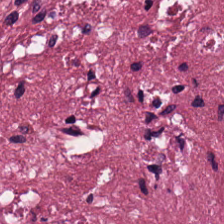Classification = cancer-associated stroma.
